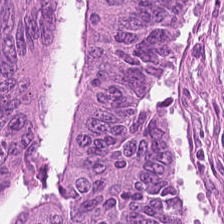WSI patch. H&E. FFPE. Tissue class — malignant epithelium.
